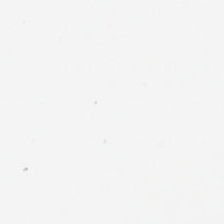FFPE. Hematoxylin and eosin — Impression — no tissue.
